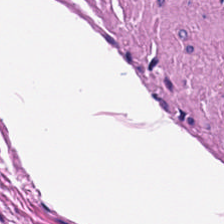H&E-stained tissue section — Tissue type: smooth muscle.
